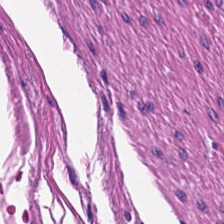Hematoxylin and eosin.
Tissue — smooth muscle.
